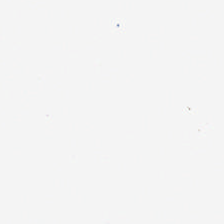This patch shows no tissue.
